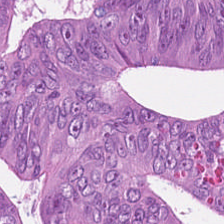Hematoxylin-and-eosin stained section. Q: What is shown in this field?
A: It is malignant epithelium.
